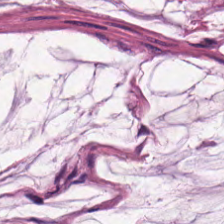H&E-stained tissue section — This field is mucin.
